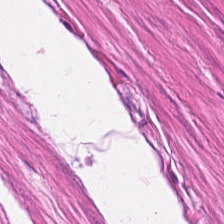H&E. Brightfield microscopy. 224×224 px tile — Impression → smooth muscle.
